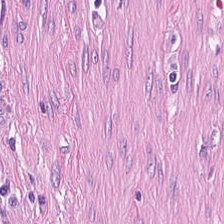Histology → tumor-associated stroma.
